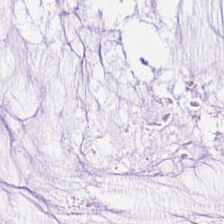FFPE; H&E-stained tissue section.
Mucin.
